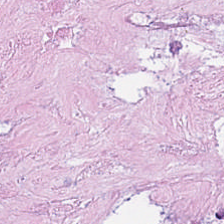WSI patch. 224×224 px patch. H&E-stained tissue section.
Q: Classify this patch.
A: The field shows cellular debris.
